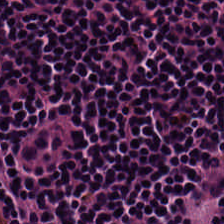The classification is lymphocytic infiltrate.
